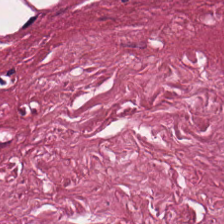0.5 microns per pixel · hematoxylin-and-eosin stained section.
Q: What tissue is shown?
A: Tumor-associated stroma.
